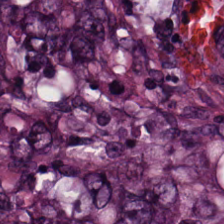0.5 µm/px. FFPE tissue section. Hematoxylin and eosin.
Classification — adenocarcinoma.
